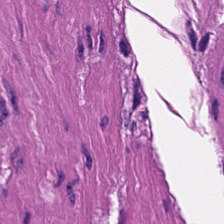Hematoxylin-and-eosin stained section. This field is smooth muscle.
